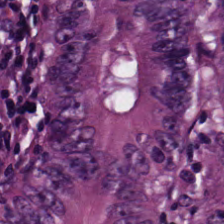20× equivalent magnification · H&E — Colorectal adenocarcinoma.
